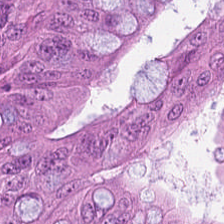Stain: hematoxylin-and-eosin stained section.
Preparation: formalin-fixed paraffin-embedded section.
Acquisition: brightfield microscopy.
Classification: tumor epithelium.
